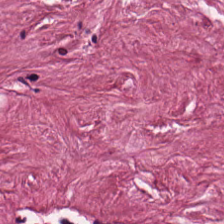Hematoxylin and eosin.
Showing cancer-associated stroma.
